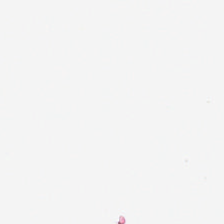Q: Classify this patch.
A: This is background.
